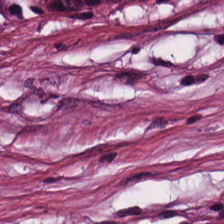Q: What is shown here?
A: Tumor-associated stroma.
